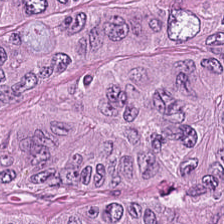Tissue type — colorectal adenocarcinoma epithelium.
